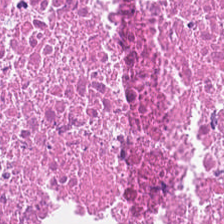Q: What tissue is shown?
A: Cellular debris.
